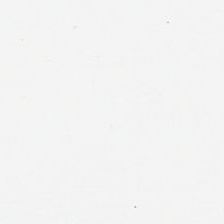H&E. Field content: background (no tissue).
